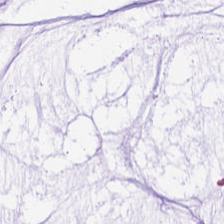FFPE tissue section; H&E; brightfield — Q: Classify this patch.
A: The field shows mucus.
